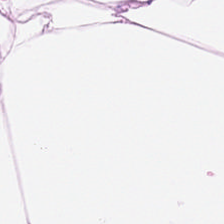{"tissue_type": "adipocytes"}
